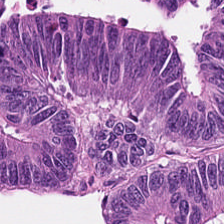Formalin-fixed paraffin-embedded section · 0.5 µm/px · H&E — This patch shows colorectal adenocarcinoma epithelium.
